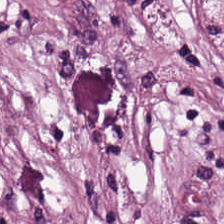Stain: H&E.
Tile size: 224×224 pixel tile.
Predominant tissue: tumor-associated stroma.
